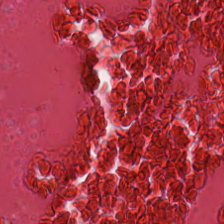Hematoxylin-and-eosin stained section. This field is debris.
